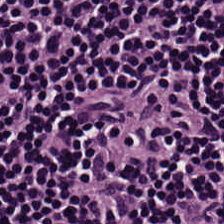Q: What tissue is shown?
A: The field shows lymphoid infiltrate.
